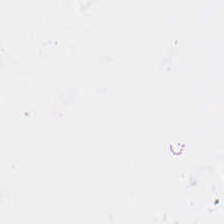Hematoxylin and eosin.
Background — no tissue in this field.
